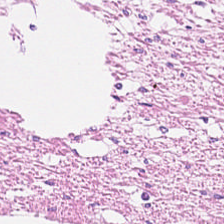Predominant tissue: smooth muscle.
